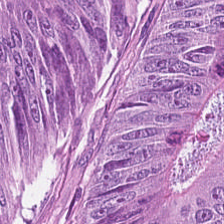H&E-stained tissue section. Q: What type of tissue is this?
A: The field shows adenocarcinoma.
